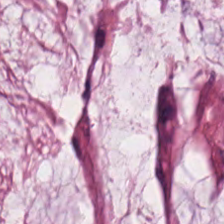Brightfield microscopy · H&E stain.
Q: What is shown here?
A: This is mucin.
